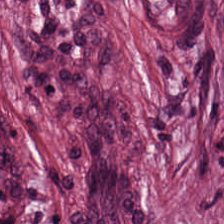Stain: hematoxylin and eosin.
Predominant tissue: desmoplastic stroma.
